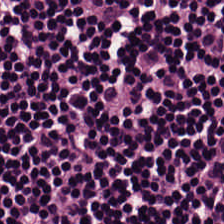224×224 px tile; H&E; 0.5 µm/px. Histology → lymphocytes.
